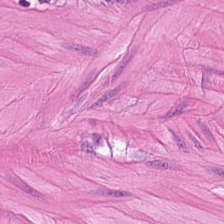H&E stain. 0.5 µm/px — Predominantly smooth-muscle tissue.
